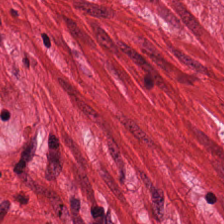H&E-stained tissue section. This field is smooth muscle.
